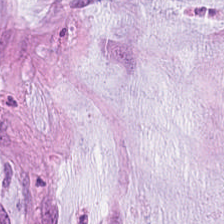Hematoxylin-and-eosin stained section. Tissue — extracellular mucin.
